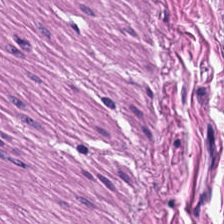H&E-stained tissue section — Showing muscularis.
